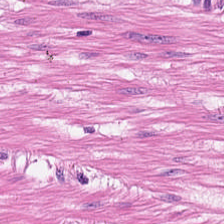Brightfield; H&E; FFPE tissue section.
Tissue = smooth-muscle tissue.
